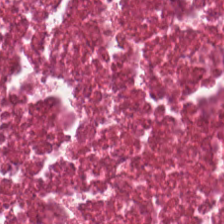Q: What does this patch show?
A: Necrotic debris.
